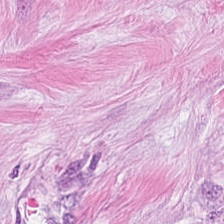FFPE. H&E. 224×224 px tile. Q: What is the predominant tissue type?
A: The field shows tumor-associated stroma.
